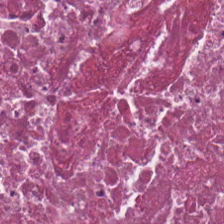Stain: H&E stain.
Classification: necrotic debris.
